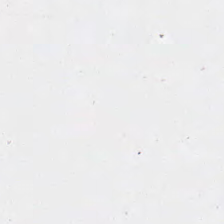Hematoxylin-and-eosin stained section.
Q: What is shown in this field?
A: This is empty background.
